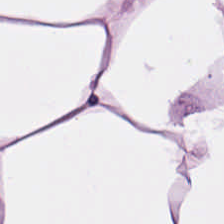Stain: hematoxylin and eosin.
Predominant tissue: adipocytes.
